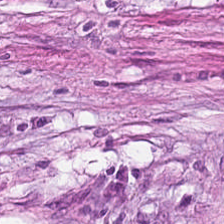Q: What is shown in this field?
A: This is tumor-associated stroma.
